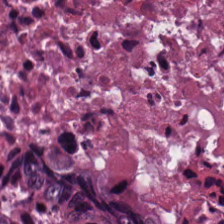H&E.
Impression → debris.
